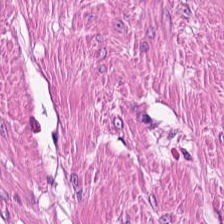Stain: H&E stain.
Tissue: smooth muscle.
